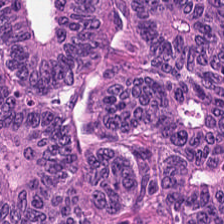Stain: H&E stain.
Preparation: FFPE.
Tissue class: tumor epithelium.
